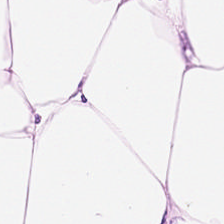This field is adipose tissue.
